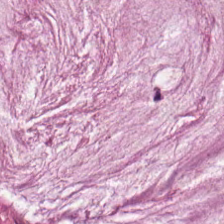FFPE; hematoxylin-and-eosin stained section.
{"tissue_type": "mucus"}
